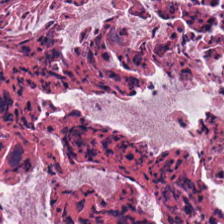Formalin-fixed paraffin-embedded section · 0.5 µm per pixel · H&E-stained tissue section — Q: What does this patch show?
A: It is debris.
